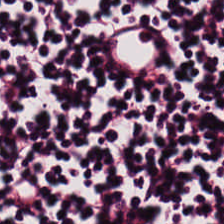This patch shows lymphoid infiltrate.
